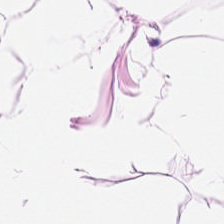Stain: H&E stain.
Tissue type: adipose.
